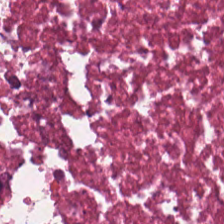H&E · FFPE. Showing cellular debris.
